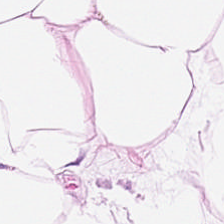H&E.
Q: What does this patch show?
A: The field shows fat tissue.
